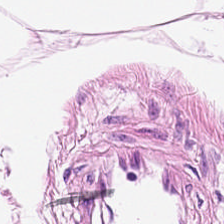Formalin-fixed paraffin-embedded section. H&E-stained tissue section.
This field is adipose.
